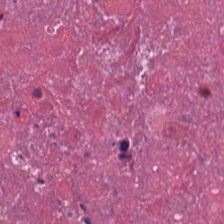H&E stain — Finding → debris.
